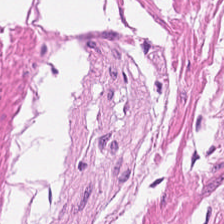Brightfield microscopy · H&E stain · 224×224 pixel tile.
The predominant tissue is muscularis.
